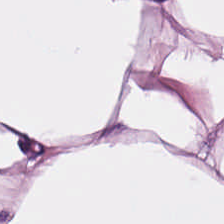Brightfield · H&E-stained tissue section. Adipose tissue.
